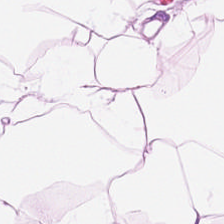H&E-stained section; the field shows adipose tissue.
